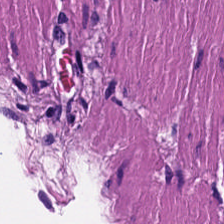H&E stain.
The predominant tissue is muscularis.
